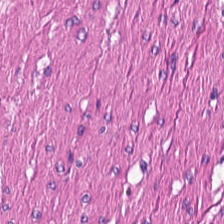H&E stain — Q: What does this patch show?
A: It is muscularis.
